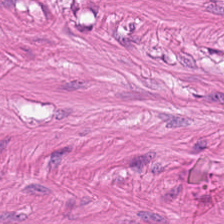Brightfield microscopy · H&E stain · 224×224 px patch.
Tissue type: smooth muscle.
